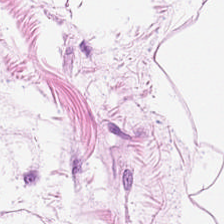Whole-slide-image patch; H&E stain.
The predominant tissue is adipose.
